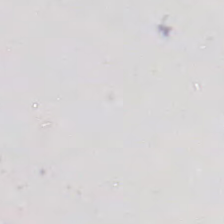The content is no tissue.
